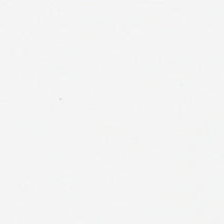H&E-stained tissue section — Content: empty background.
